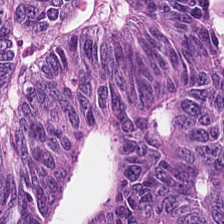{"tissue_type": "colorectal adenocarcinoma epithelium"}
